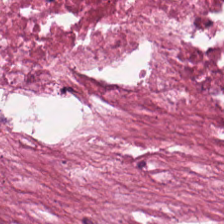H&E-stained tissue section.
Impression → necrotic debris.
